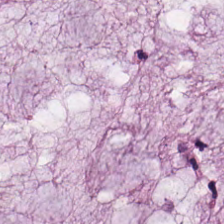H&E-stained section; the field shows mucin.
